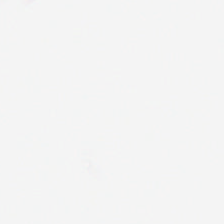H&E — Content: background (no tissue).
